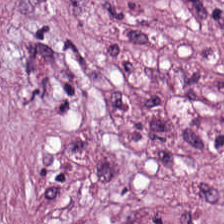Hematoxylin-and-eosin stained section — {"tissue_type": "cancer-associated stroma"}
